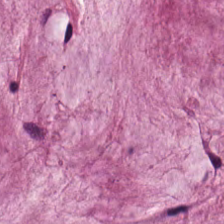Stain: hematoxylin and eosin.
Tissue class: extracellular mucin.
